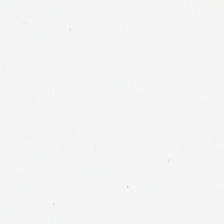Formalin-fixed paraffin-embedded section; H&E-stained tissue section.
Finding — empty background.
